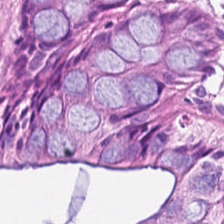Stain: hematoxylin and eosin.
Tissue class: normal colon mucosa.
